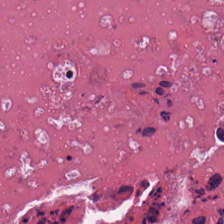20× equivalent magnification · H&E-stained tissue section.
The tissue class is debris.
